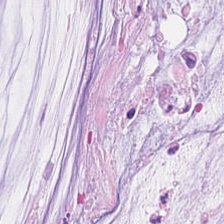H&E — Predominant tissue = mucus.
